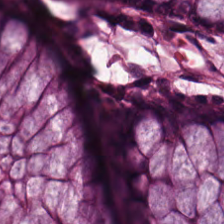H&E stain. The tissue type is normal colonic mucosa.
